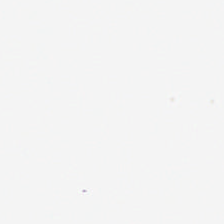Q: What does this patch show?
A: This is background.
